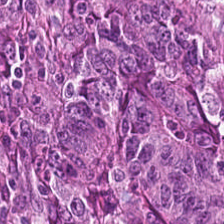Hematoxylin-and-eosin stained section — This field is colorectal adenocarcinoma.
